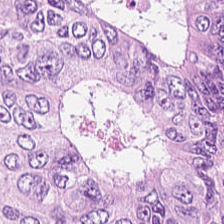H&E stain.
This field is malignant epithelium.
